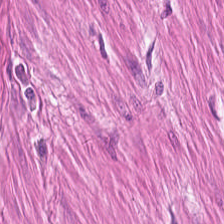Hematoxylin and eosin. Histology → smooth-muscle tissue.
